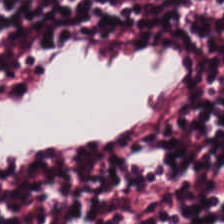H&E — lymphocytes.
